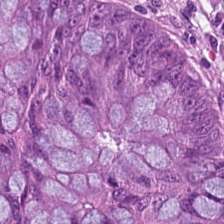H&E stain.
Tissue class — tumor epithelium.
